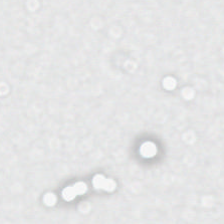Whole-slide-image patch. Hematoxylin and eosin. 224×224 px patch.
This field is background (no tissue).
